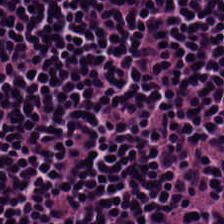H&E-stained tissue section; 0.5 µm per pixel. This patch shows lymphocytes.
